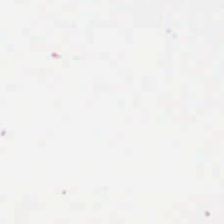Stain: H&E stain.
Acquisition: WSI patch.
Content: background.
